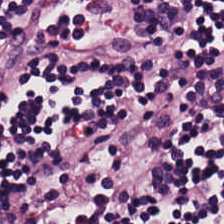H&E. Brightfield — Tissue — lymphocytes.
